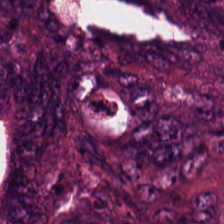Hematoxylin and eosin.
Q: What tissue type is shown here?
A: The field shows adenocarcinoma.
